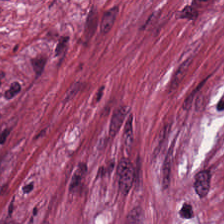Stain: H&E.
Acquisition: WSI patch.
Preparation: formalin-fixed paraffin-embedded section.
Tissue type: tumor-associated stroma.
